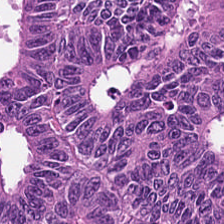Brightfield microscopy · H&E-stained tissue section. Q: What tissue is shown?
A: The field shows tumor epithelium.
